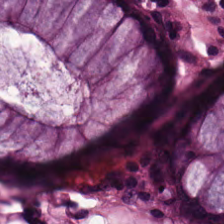Classification: benign colonic mucosa.
